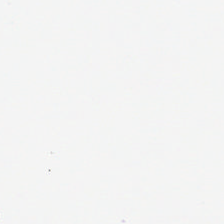Background (no tissue).
